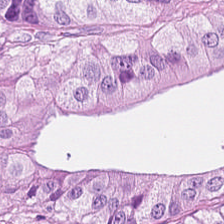H&E stain. Classification — adenocarcinoma.
